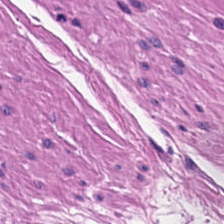Hematoxylin-and-eosin stained section.
The classification is smooth muscle.
